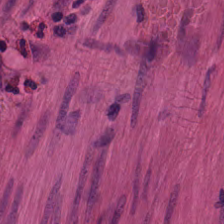Stain: H&E-stained tissue section.
Tissue type: smooth-muscle tissue.
